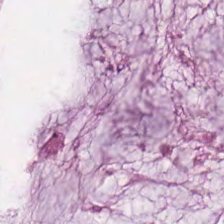Hematoxylin and eosin. Q: What tissue is shown?
A: The field shows mucus.
